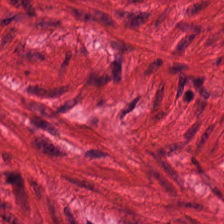H&E-stained tissue section · 224×224 px tile · formalin-fixed paraffin-embedded section.
Q: What does this patch show?
A: The field shows smooth muscle.
